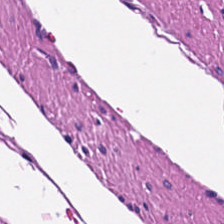Q: What is shown here?
A: This is smooth-muscle tissue.
